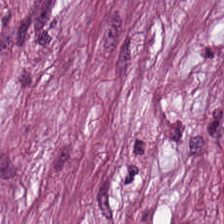{"tissue_type": "desmoplastic stroma"}
